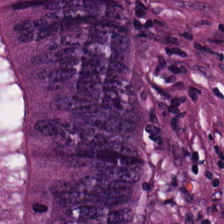H&E-stained tissue section. The tissue class is adenocarcinoma.
